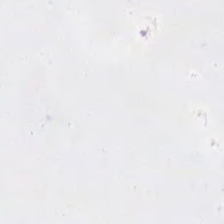No tissue.
